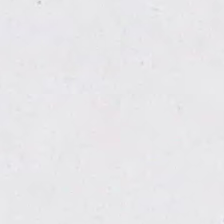Stain: hematoxylin and eosin.
Field content: background (no tissue).
